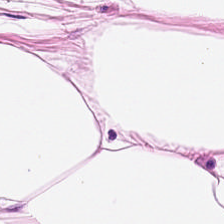0.5 µm/px. Hematoxylin and eosin. This patch shows adipocytes.
